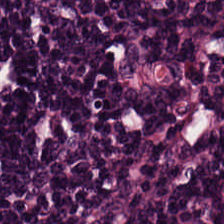Stain: H&E.
Acquisition: brightfield.
Tissue class: lymphocyte aggregate.
